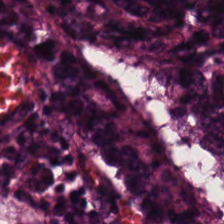Stain: H&E-stained tissue section.
Tile size: 224×224 px tile.
Classification: colorectal adenocarcinoma.
